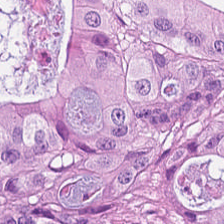{"tissue_type": "colorectal adenocarcinoma"}
